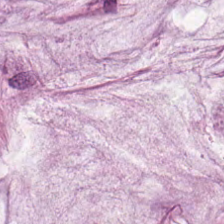H&E stain — Predominantly mucus.
